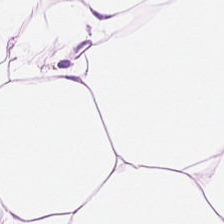H&E-stained tissue section — Showing adipose.
